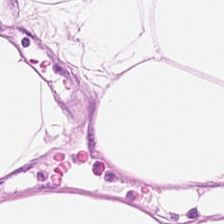Whole-slide-image patch; H&E-stained tissue section; 224×224 px patch — Histology — fat tissue.
